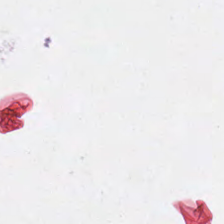Stain: H&E stain.
Acquisition: WSI patch.
Content: empty background.
